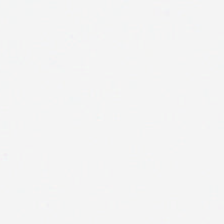0.5 µm per pixel; hematoxylin and eosin; 224×224 pixel tile — This field is background (no tissue).
